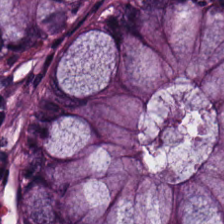20× equivalent magnification. Hematoxylin and eosin — Tissue: benign colonic mucosa.
